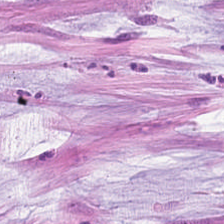H&E-stained tissue section.
Tissue class: mucin.
